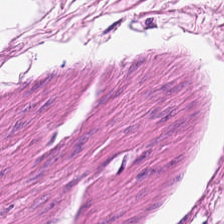Hematoxylin and eosin · 224×224 px tile · formalin-fixed paraffin-embedded section. {"tissue_type": "muscularis"}
